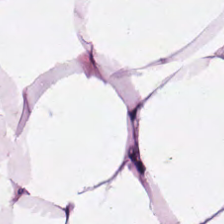Hematoxylin-and-eosin stained section — Q: Classify this patch.
A: This is adipose tissue.
